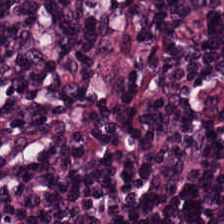Hematoxylin and eosin. Predominant tissue — lymphocyte aggregate.
